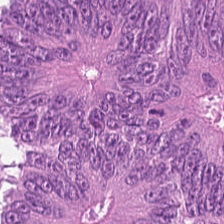H&E — This patch shows adenocarcinoma.
